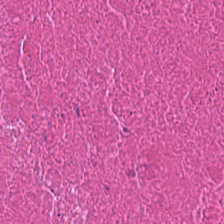The predominant tissue is debris.
